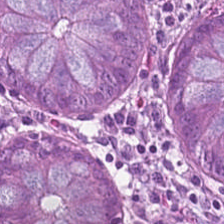Stain: H&E.
Acquisition: brightfield microscopy.
Tissue type: non-neoplastic colon mucosa.
